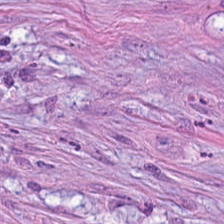Stain: H&E.
Resolution: 0.5 microns per pixel.
Tissue type: tumor stroma.
